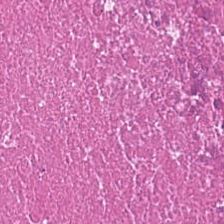H&E-stained tissue section. Tissue type = cellular debris.
